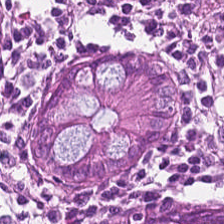Stain: H&E stain.
Tissue: non-neoplastic colon mucosa.
